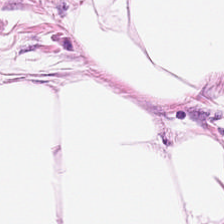Hematoxylin-and-eosin section: adipose tissue.
